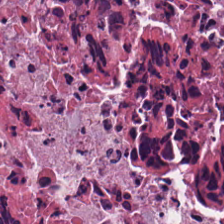H&E stain — The tissue here is cellular debris.
